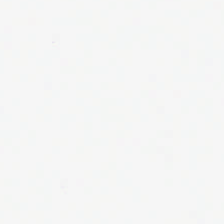Histology → background.
